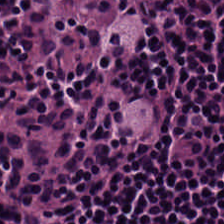0.5 µm/px · H&E-stained tissue section. Q: What tissue type is shown here?
A: Lymphocytic infiltrate.
